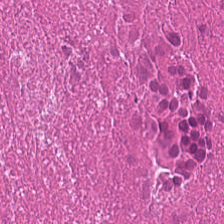224×224 pixel tile · FFPE tissue section · H&E stain — Predominantly debris.
